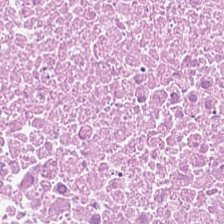{"tissue_type": "debris"}
